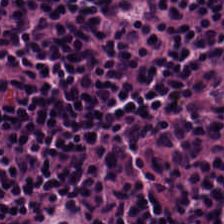H&E — Predominantly lymphocytes.
